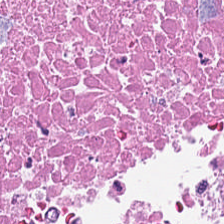The tissue here is debris.
